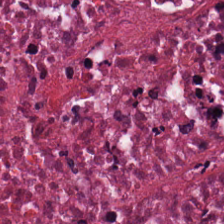Hematoxylin-and-eosin stained section.
Histology — necrotic debris.
